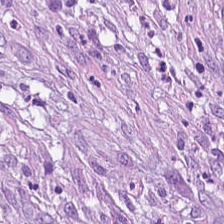Hematoxylin and eosin.
Tissue: tumor-associated stroma.
